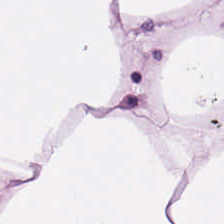H&E. Q: Identify the tissue.
A: Adipocytes.
